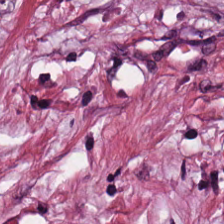Predominant tissue = desmoplastic stroma.
